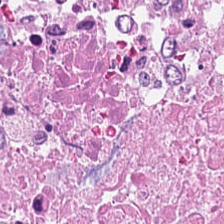H&E — Debris.
